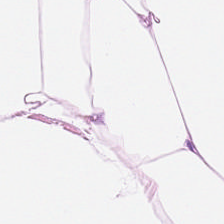Hematoxylin-and-eosin stained section · FFPE · brightfield. Q: Identify the tissue.
A: This is adipose tissue.
